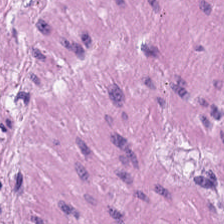Hematoxylin and eosin. The tissue is smooth muscle.
